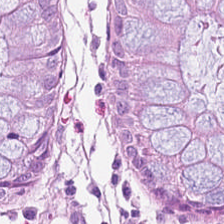Stain: hematoxylin and eosin.
Tissue: normal colon mucosa.
